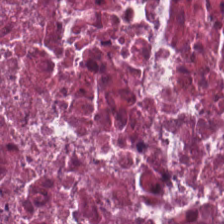H&E-stained tissue section; whole-slide-image patch; formalin-fixed paraffin-embedded section — Tissue type — cellular debris.
